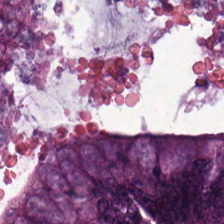H&E stain. This patch shows adenocarcinoma.
